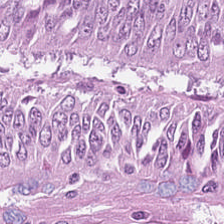H&E stain. Adenocarcinoma.
